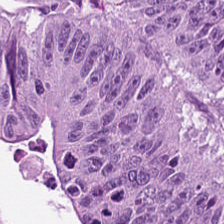Hematoxylin and eosin.
Q: What is the predominant tissue type?
A: This is adenocarcinoma.
